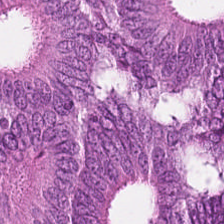224×224 px tile · H&E-stained tissue section — This field is malignant epithelium.
